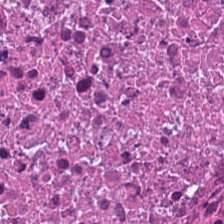Showing necrotic debris.
